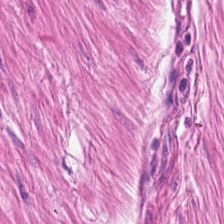Showing smooth-muscle tissue.
